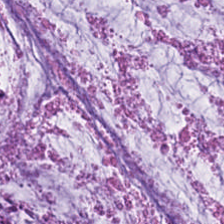H&E-stained tissue section.
The classification is mucin.
